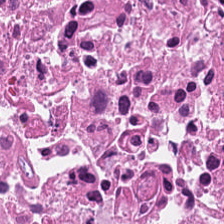Hematoxylin and eosin · brightfield microscopy.
Impression — necrotic debris.
